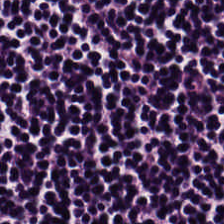Stain: H&E stain.
Preparation: formalin-fixed paraffin-embedded section.
Acquisition: WSI patch.
Tissue class: lymphocyte aggregate.
